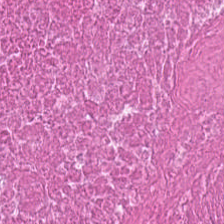H&E. The predominant tissue is necrotic debris.
